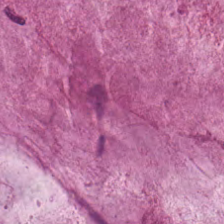20× equivalent magnification · H&E. Classification — extracellular mucin.
